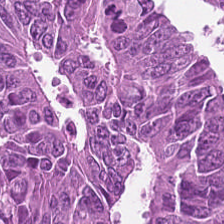H&E-stained tissue section. FFPE. The tissue is tumor epithelium.
